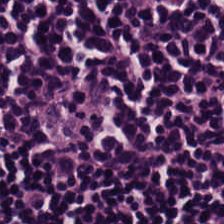The predominant tissue is lymphoid infiltrate.
